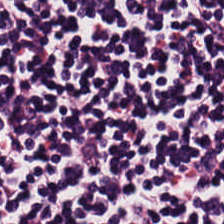{"tissue_type": "lymphocytic infiltrate"}
